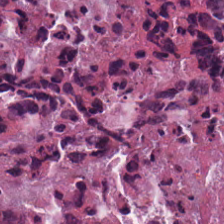Stain: H&E-stained tissue section.
Classification: debris.
